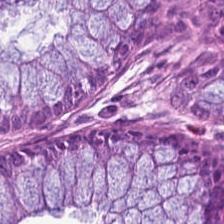Stain: hematoxylin-and-eosin stained section.
Resolution: 0.5 µm per pixel.
Tissue class: benign colonic mucosa.
